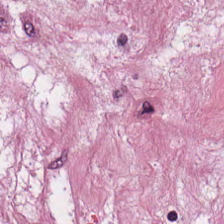The predominant tissue is desmoplastic stroma.
